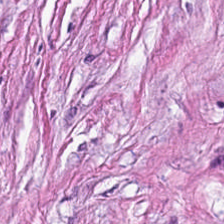Q: What is shown in this field?
A: The field shows tumor stroma.
